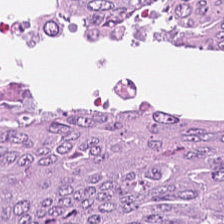H&E. Brightfield. 20× equivalent magnification.
Tissue type = colorectal adenocarcinoma.
